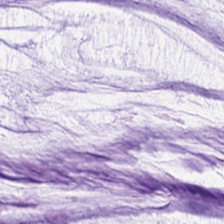Predominant tissue — mucus.
